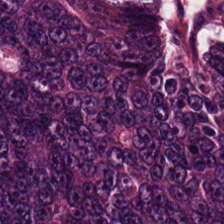Tissue type = colorectal adenocarcinoma epithelium.
